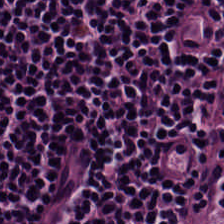Hematoxylin-and-eosin stained section.
The predominant tissue is lymphocytes.
